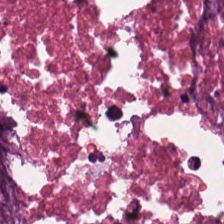Hematoxylin and eosin.
Impression — debris.
